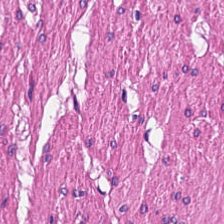Stain: hematoxylin-and-eosin stained section.
Classification: smooth muscle.
